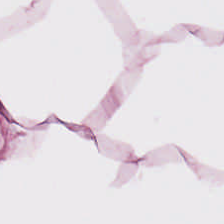Hematoxylin-and-eosin stained section — Predominantly adipose tissue.
